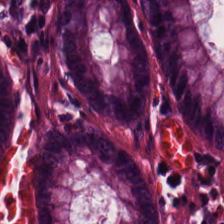H&E stain; 224×224 px tile. The tissue here is benign colonic mucosa.
